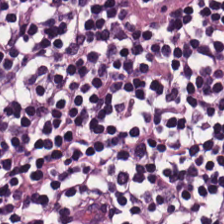FFPE tissue section · hematoxylin-and-eosin stained section. This patch shows lymphocytic infiltrate.
